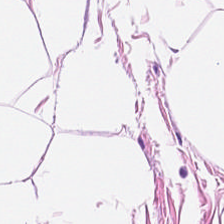Hematoxylin and eosin. FFPE. Predominantly adipose tissue.
